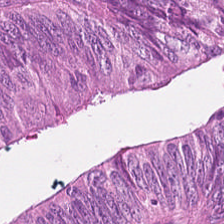H&E stain — {"tissue_type": "colorectal adenocarcinoma"}
